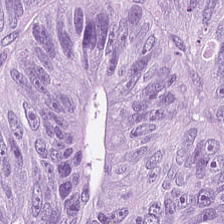H&E stain. Q: Identify the tissue.
A: The field shows adenocarcinoma.
